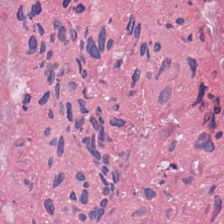Hematoxylin-and-eosin stained section.
Cellular debris.
